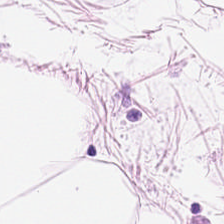Stain: H&E-stained tissue section.
Resolution: 0.5 µm/px.
Tissue type: adipocytes.
